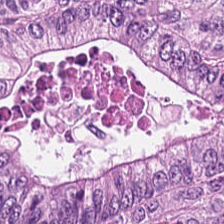Hematoxylin and eosin; FFPE tissue section.
Q: What tissue type is shown here?
A: It is tumor epithelium.
